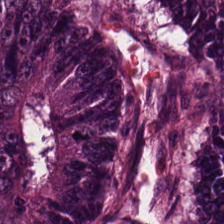Hematoxylin and eosin. The predominant tissue is malignant epithelium.
